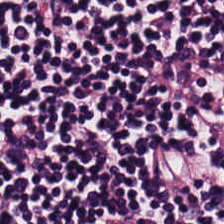Stain: H&E-stained tissue section.
Resolution: 0.5 µm per pixel.
Preparation: FFPE tissue section.
Tissue class: lymphocytic infiltrate.
